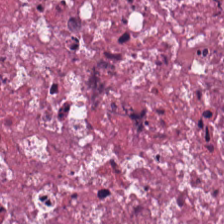H&E patch showing cellular debris.
